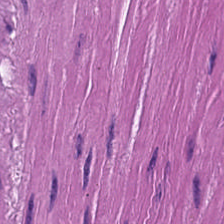The tissue is muscularis.
